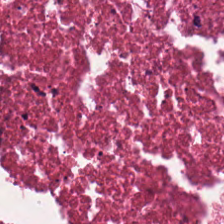Stain: hematoxylin and eosin.
Tissue type: cellular debris.
